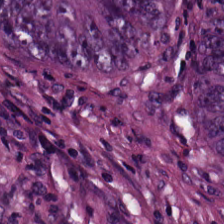H&E-stained tissue section.
Adenocarcinoma.
